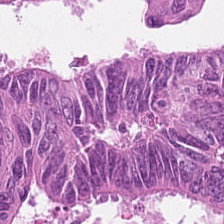H&E stain. 224×224 pixel tile.
Q: What does this patch show?
A: It is malignant epithelium.
